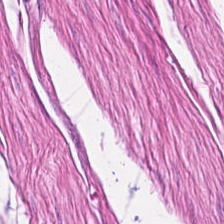Q: What is shown in this field?
A: This is smooth-muscle tissue.
